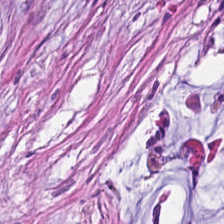Stain: hematoxylin and eosin.
Tissue type: tumor-associated stroma.
